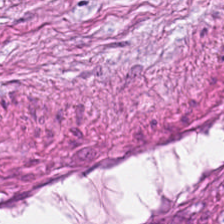0.5 microns per pixel. H&E.
Tissue = tumor stroma.
